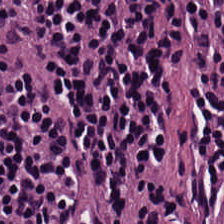Hematoxylin and eosin — Q: What is the predominant tissue type?
A: It is lymphocyte aggregate.
